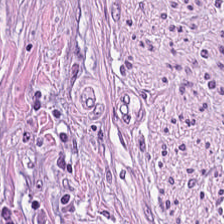H&E stain.
Tumor-associated stroma.
